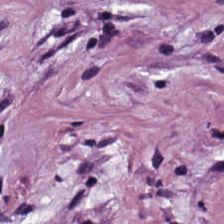Classification: tumor-associated stroma.
